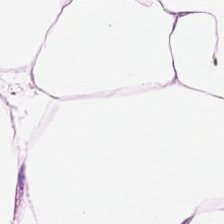H&E-stained tissue section; 0.5 µm/px; 224×224 pixel tile.
{"tissue_type": "adipose"}
